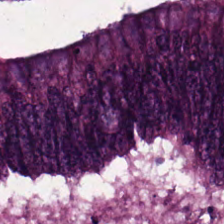H&E stain — The predominant tissue is colorectal adenocarcinoma.
